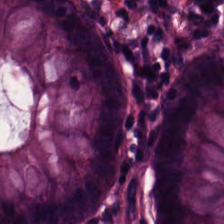FFPE tissue section. Hematoxylin and eosin.
Q: What tissue is shown?
A: It is non-neoplastic colon mucosa.
